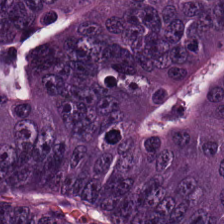This patch shows malignant epithelium.
